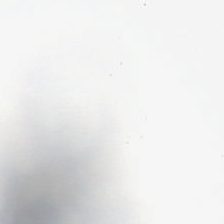Background — no tissue in this field.
